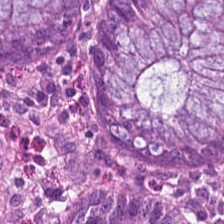Finding → normal colonic mucosa.
